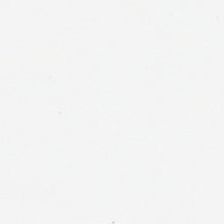Formalin-fixed paraffin-embedded section; H&E; 0.5 µm/px — The field content is no tissue.
